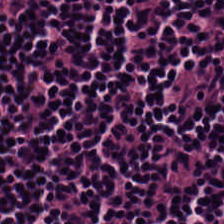H&E-stained tissue section. Showing lymphocytes.
